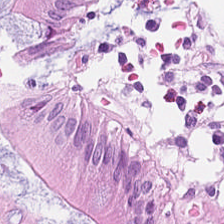Hematoxylin-and-eosin stained section; FFPE tissue section.
Q: Identify the tissue.
A: This is non-neoplastic colon mucosa.
